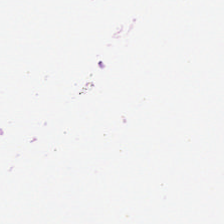H&E-stained tissue section — {"content": "background"}
